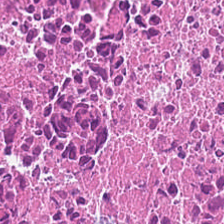H&E-stained tissue section. Predominantly necrotic debris.
